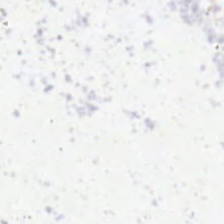Hematoxylin and eosin. Q: What is shown in this field?
A: This is background (no tissue).
